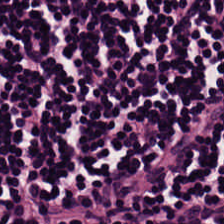Hematoxylin and eosin. The predominant tissue is lymphocytes.
